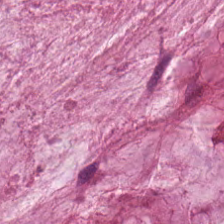Stain: hematoxylin and eosin.
Predominant tissue: mucin.
